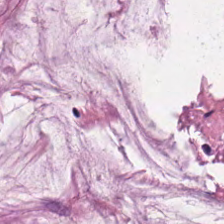224×224 pixel tile · hematoxylin and eosin — The predominant tissue is extracellular mucin.
